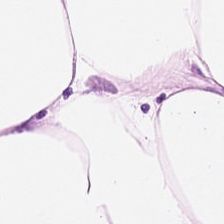224×224 px tile; formalin-fixed paraffin-embedded section; H&E-stained tissue section — The tissue here is adipocytes.
